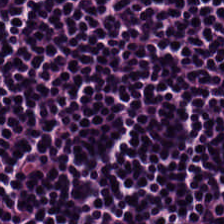H&E stain · brightfield microscopy · FFPE tissue section — Tissue: lymphocytes.
